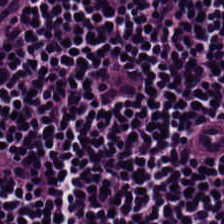H&E — lymphocyte aggregate.
